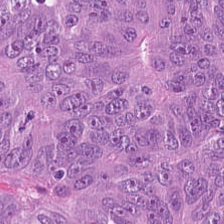H&E — Histology → colorectal adenocarcinoma epithelium.
